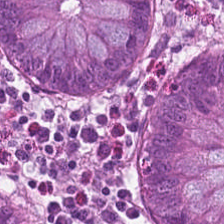Hematoxylin-and-eosin stained section — Q: What is the predominant tissue type?
A: This is normal colon mucosa.
